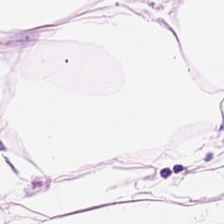Classification: fat tissue.
